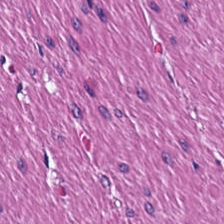Hematoxylin-and-eosin stained section.
Predominantly smooth muscle.
